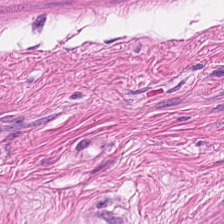Q: What tissue is shown?
A: The field shows smooth-muscle tissue.
